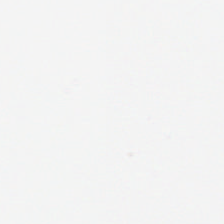20× equivalent magnification · hematoxylin-and-eosin stained section.
Content: empty background.
